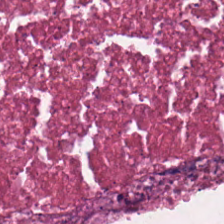H&E-stained tissue section; whole-slide-image patch; 0.5 µm/px.
Q: What type of tissue is this?
A: This is necrotic debris.
